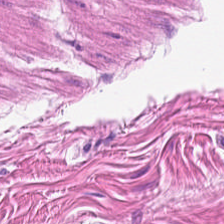H&E-stained tissue section.
This field is smooth-muscle tissue.
